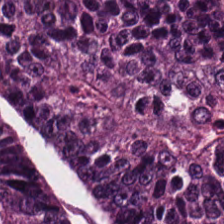Whole-slide-image patch. 0.5 µm per pixel. Hematoxylin-and-eosin stained section. This field is malignant epithelium.
